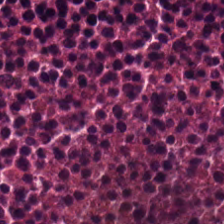WSI patch. Hematoxylin-and-eosin stained section. Formalin-fixed paraffin-embedded section — Showing cellular debris.
